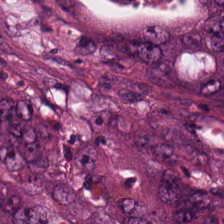H&E-stained tissue section — The tissue is colorectal adenocarcinoma.
